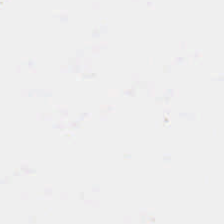Background — no tissue in this field.
